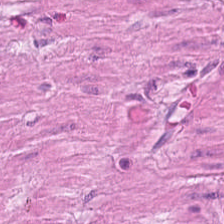Muscularis.
